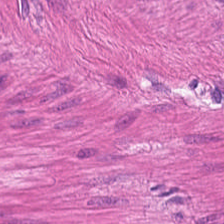Hematoxylin-and-eosin stained section · WSI patch · FFPE tissue section. Histology — smooth muscle.
